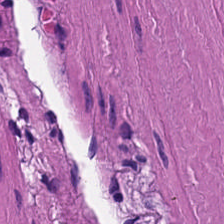H&E-stained tissue section.
Predominantly muscularis.
